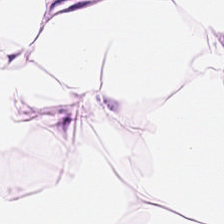H&E — Predominantly adipocytes.
